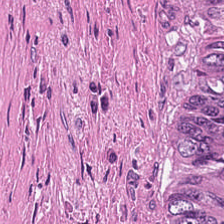H&E. Classification — debris.
